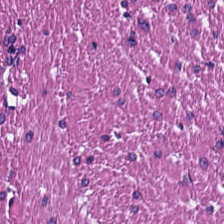Finding → smooth-muscle tissue.
